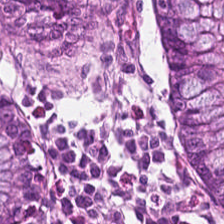Q: What is shown in this field?
A: The field shows normal colon mucosa.
